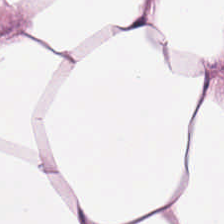WSI patch. H&E — Q: What type of tissue is this?
A: This is adipose.
